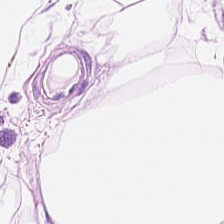Brightfield microscopy · H&E stain — {"tissue_type": "adipose"}
